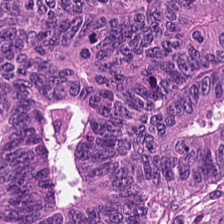H&E stain — The tissue here is malignant epithelium.
